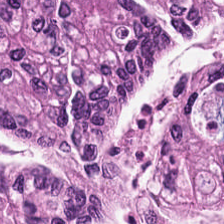0.5 microns per pixel. Hematoxylin and eosin. Brightfield.
Showing adenocarcinoma.
